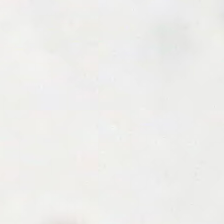Stain: hematoxylin and eosin.
Classification: background (no tissue).
